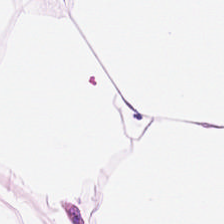Stain: H&E stain.
Tissue type: adipose tissue.
